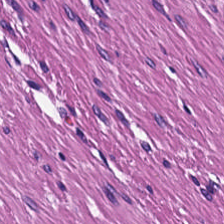Formalin-fixed paraffin-embedded section; hematoxylin-and-eosin stained section; WSI patch — Q: What type of tissue is this?
A: It is muscularis.
